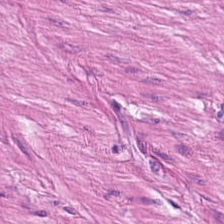H&E.
This patch shows smooth-muscle tissue.
